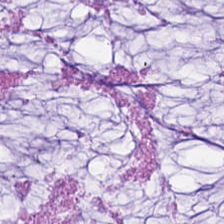Brightfield. H&E-stained tissue section — Predominant tissue: mucus.
